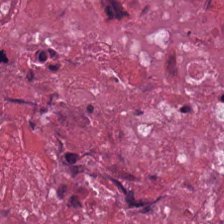H&E patch showing cellular debris.
